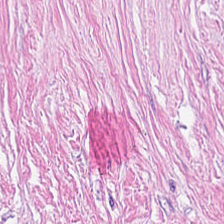Hematoxylin and eosin. 0.5 microns per pixel. Formalin-fixed paraffin-embedded section.
Q: What is shown in this field?
A: The field shows tumor stroma.
